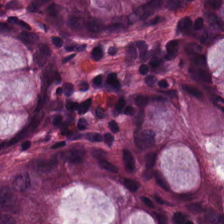Non-neoplastic colon mucosa.
